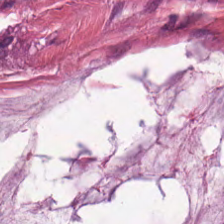Classification: extracellular mucin.
